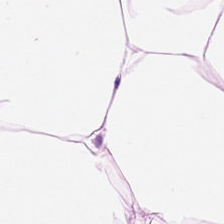Hematoxylin and eosin. This patch shows adipose tissue.
